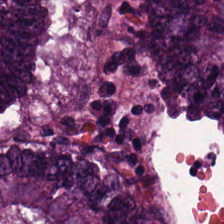Stain: H&E stain.
Tissue type: adenocarcinoma.
